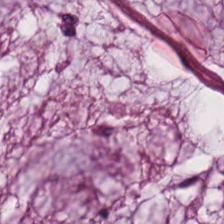224×224 px patch. H&E-stained tissue section.
Impression — mucin.
